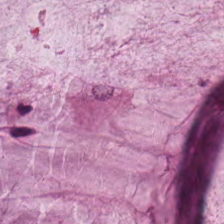Stain: H&E stain.
Tissue type: mucus.
